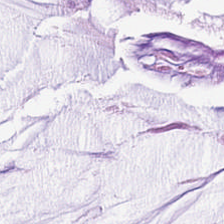Histology — mucin.
